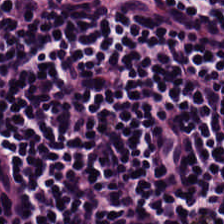Hematoxylin and eosin — Lymphocyte aggregate.
